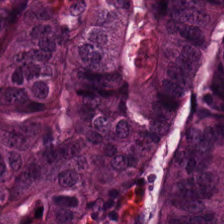Hematoxylin and eosin. Finding — adenocarcinoma.
